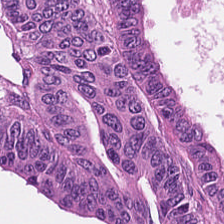Stain: hematoxylin and eosin.
Acquisition: WSI patch.
Preparation: FFPE.
Predominant tissue: colorectal adenocarcinoma.
